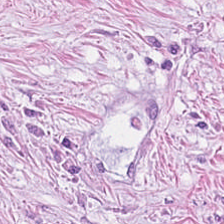Hematoxylin and eosin. FFPE tissue section. Tissue class: tumor-associated stroma.
